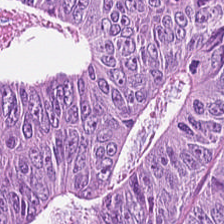WSI patch. H&E-stained tissue section — Classification: colorectal adenocarcinoma.
